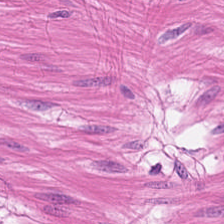Formalin-fixed paraffin-embedded section. WSI patch. Hematoxylin-and-eosin stained section.
Tissue: smooth muscle.
